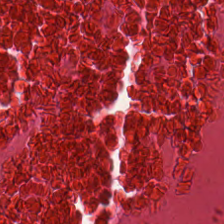Hematoxylin and eosin.
Classification: necrotic debris.
